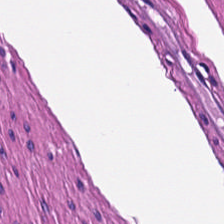224×224 px patch. 20× equivalent magnification. Hematoxylin and eosin — Tissue class: muscularis.
